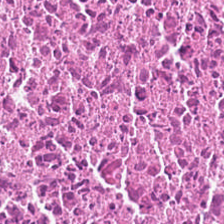Hematoxylin-and-eosin stained section; WSI patch; 224×224 px patch.
Tissue — necrotic debris.
